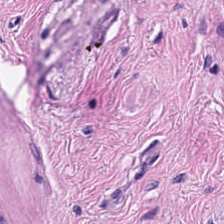H&E — {"tissue_type": "muscularis"}
